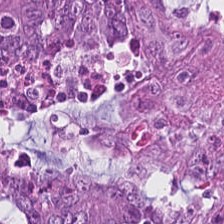Stain: H&E-stained tissue section.
Tissue: tumor epithelium.
